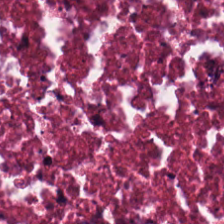Hematoxylin-and-eosin stained section.
Tissue type — debris.
